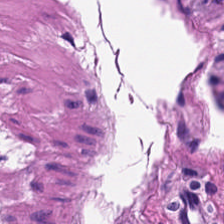Brightfield; formalin-fixed paraffin-embedded section; hematoxylin-and-eosin stained section. Predominant tissue — smooth-muscle tissue.
